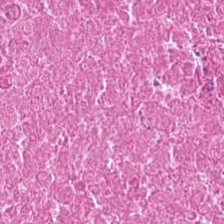H&E-stained tissue section; FFPE; 224×224 px patch. Cellular debris.
